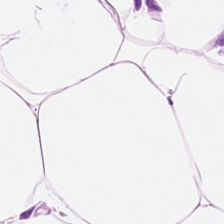Hematoxylin and eosin.
Q: What is the predominant tissue type?
A: Adipose tissue.
